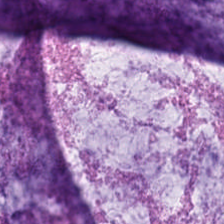FFPE tissue section. 20× equivalent magnification. H&E stain.
Tissue — extracellular mucin.
